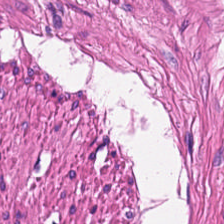Finding — smooth muscle.
